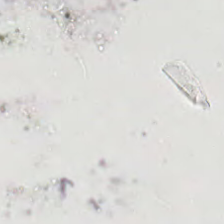No tissue.
